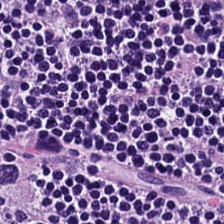H&E stain; 0.5 microns per pixel; WSI patch.
Q: What does this patch show?
A: This is lymphoid infiltrate.
